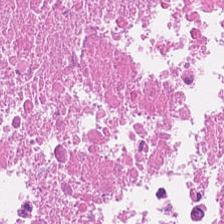H&E stain. FFPE.
Q: What tissue is shown?
A: Debris.
